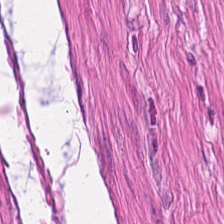H&E stain.
The predominant tissue is smooth-muscle tissue.
